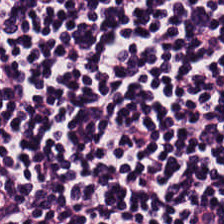Hematoxylin and eosin — Impression → lymphoid infiltrate.
